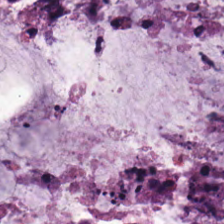224×224 px tile. Brightfield microscopy. H&E stain.
Classification: mucus.
